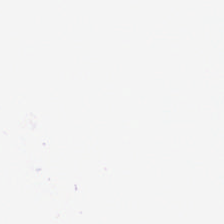Stain: H&E-stained tissue section.
Field content: background.
